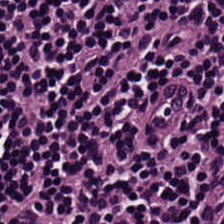H&E stain — Q: Classify this patch.
A: Lymphocytic infiltrate.
